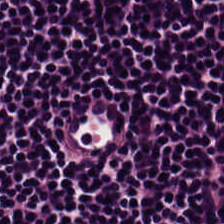Stain: H&E-stained tissue section.
Predominant tissue: lymphocytic infiltrate.
